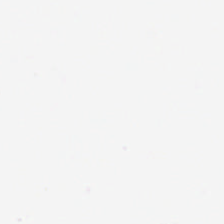This patch shows no tissue.
